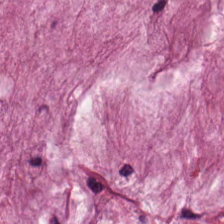H&E stain · formalin-fixed paraffin-embedded section.
This patch shows mucus.
